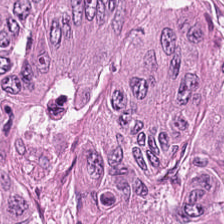H&E patch showing malignant epithelium.
